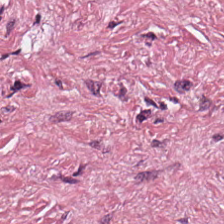Hematoxylin and eosin. Predominant tissue: cancer-associated stroma.
